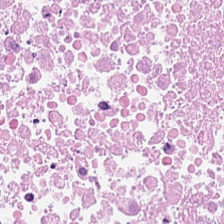224×224 px patch · H&E · 0.5 µm per pixel. The tissue type is debris.
